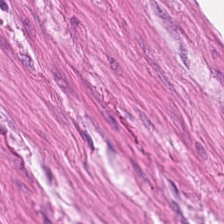H&E. Predominant tissue = muscularis.
